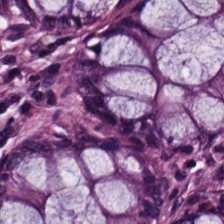Hematoxylin-and-eosin stained section.
Tissue type = normal colonic mucosa.
